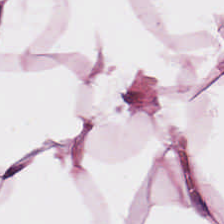H&E-stained tissue section. Impression — adipocytes.
